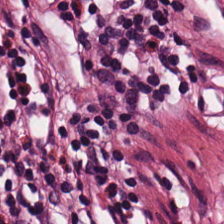H&E-stained tissue section — Non-neoplastic colon mucosa.
